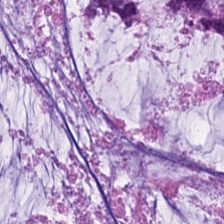Hematoxylin and eosin — The tissue type is mucin.
